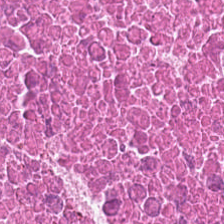Hematoxylin and eosin.
Finding → cellular debris.
